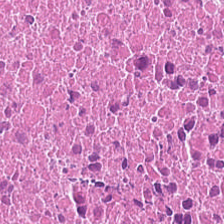H&E · brightfield microscopy — Predominant tissue — necrotic debris.
